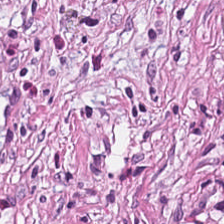224×224 px tile · formalin-fixed paraffin-embedded section · hematoxylin and eosin.
Tumor stroma.
